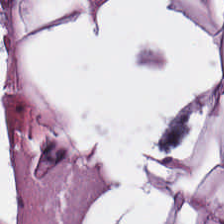Hematoxylin-and-eosin stained section — Tissue: adipocytes.
